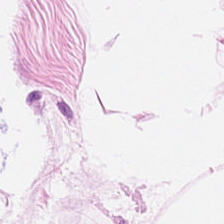Hematoxylin and eosin.
Predominantly adipose tissue.
